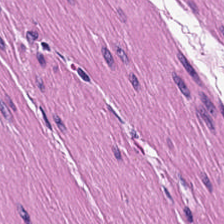H&E. Q: What type of tissue is this?
A: This is smooth muscle.
